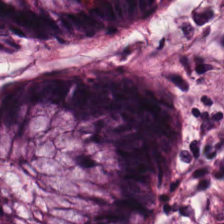Hematoxylin-and-eosin stained section. 20× equivalent magnification — The tissue type is benign colonic mucosa.
